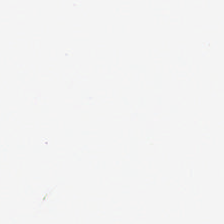{"content": "no tissue"}
